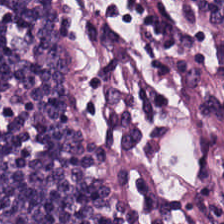H&E — This patch shows lymphocytes.
